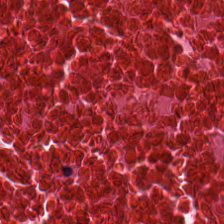Histology — cellular debris.
